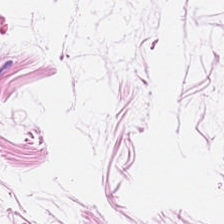H&E-stained tissue section. FFPE.
Showing fat tissue.
